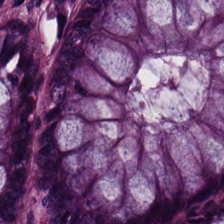FFPE · 0.5 µm/px · hematoxylin and eosin. Tissue type = normal colonic mucosa.
